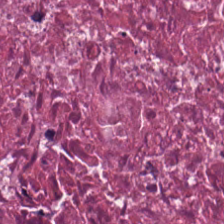Hematoxylin and eosin — This patch shows cellular debris.
